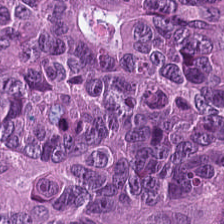H&E.
The tissue here is colorectal adenocarcinoma.
